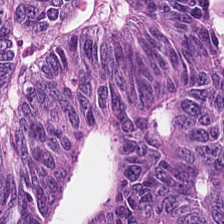H&E. Histology → colorectal adenocarcinoma epithelium.
